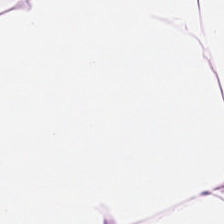H&E stain; 224×224 px patch — This field is adipocytes.
